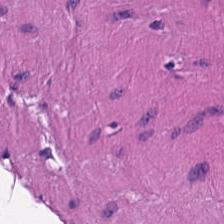H&E-stained tissue section.
The tissue type is smooth muscle.
